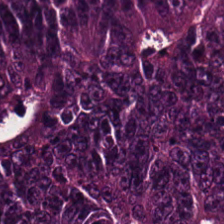H&E.
Q: What tissue is shown?
A: It is colorectal adenocarcinoma.
